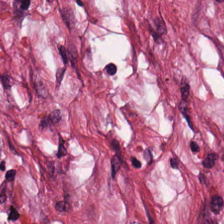Hematoxylin and eosin. 0.5 µm/px. FFPE tissue section. Tissue type — cancer-associated stroma.
